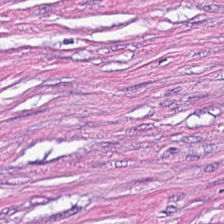The tissue type is tumor stroma.
